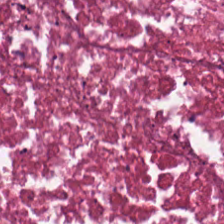Hematoxylin and eosin. 224×224 px patch. FFPE tissue section. The tissue is debris.
